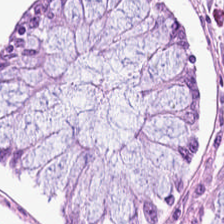Hematoxylin-and-eosin stained section. Tissue = non-neoplastic colon mucosa.
